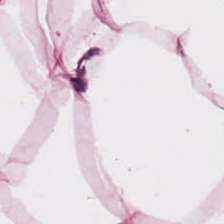Hematoxylin-and-eosin stained section. This field is fat tissue.
